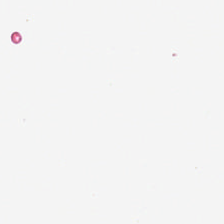Histology — background (no tissue).
